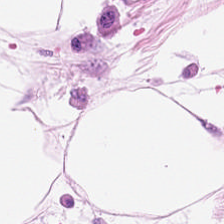Tissue = fat tissue.
